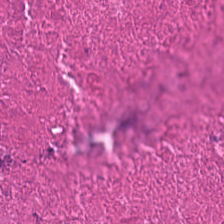Stain: hematoxylin-and-eosin stained section.
Resolution: 0.5 µm per pixel.
Tile size: 224×224 pixel tile.
Classification: cellular debris.
